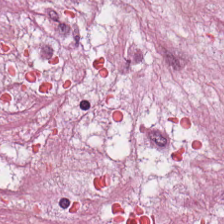Hematoxylin-and-eosin stained section. Tumor stroma.
